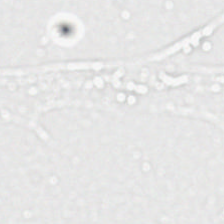H&E-stained tissue section. 224×224 px tile. WSI patch — Empty field — background (no tissue).
